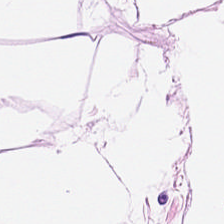H&E. 224×224 px tile — Impression → adipocytes.
